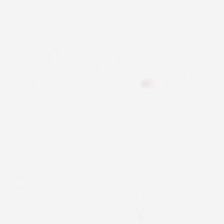Hematoxylin-and-eosin stained section — This patch shows empty background.
